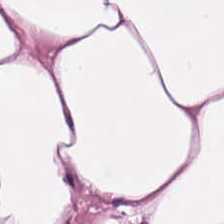H&E-stained tissue section. Brightfield. 224×224 px patch.
This field is fat tissue.
